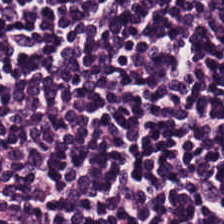Hematoxylin and eosin — The predominant tissue is lymphocytes.
